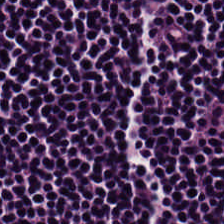20× equivalent magnification. H&E stain.
Q: What is shown here?
A: This is lymphoid infiltrate.
